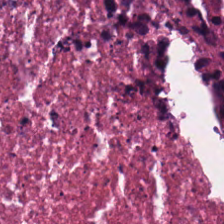Classification: cellular debris.
